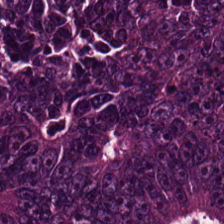Hematoxylin-and-eosin stained section.
Predominant tissue: colorectal adenocarcinoma epithelium.
